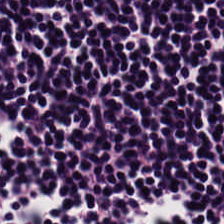0.5 µm/px. FFPE. H&E-stained tissue section — Tissue type — lymphoid infiltrate.
